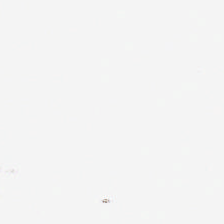Field content — background (no tissue).
